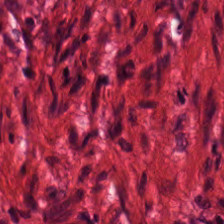H&E-stained tissue section — Showing muscularis.
